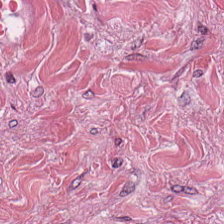Hematoxylin and eosin — Tissue class = tumor stroma.
